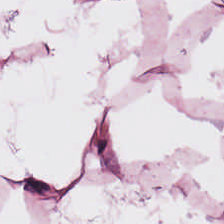Q: What does this patch show?
A: Adipose.
